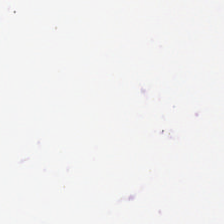{"content": "background"}
